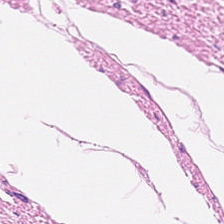Q: What is shown here?
A: It is smooth muscle.
